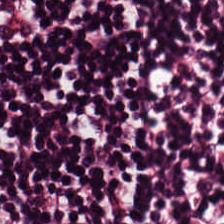H&E-stained tissue section — The tissue class is lymphoid infiltrate.
